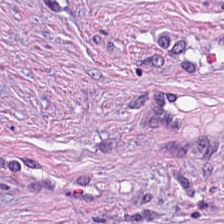H&E-stained tissue section. {"tissue_type": "cancer-associated stroma"}
